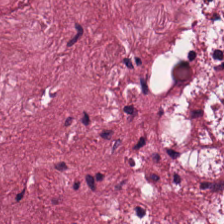H&E-stained tissue section — The tissue here is cancer-associated stroma.
